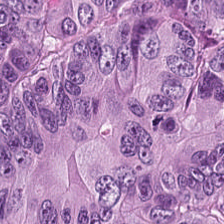H&E-stained tissue section; brightfield.
Tissue class = colorectal adenocarcinoma.
